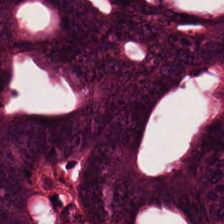Hematoxylin-and-eosin stained section; 224×224 px patch; formalin-fixed paraffin-embedded section.
Tissue = colorectal adenocarcinoma epithelium.
